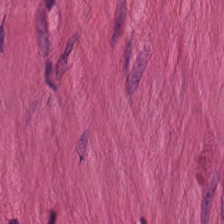H&E-stained tissue section.
Q: What tissue type is shown here?
A: It is smooth-muscle tissue.
